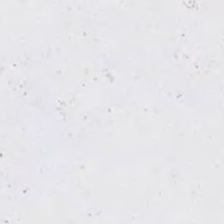H&E. Classification — empty background.
